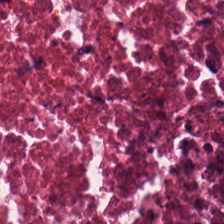H&E stain · 224×224 px tile. Finding — cellular debris.
